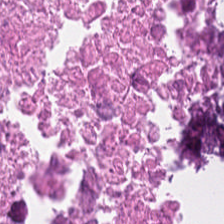Hematoxylin and eosin. Q: What is the predominant tissue type?
A: This is debris.
